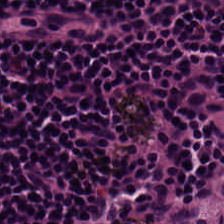Stain: H&E-stained tissue section.
Classification: lymphocytes.
